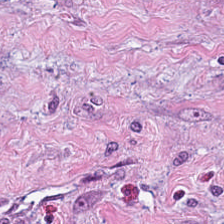Stain: H&E-stained tissue section.
Tissue class: tumor stroma.
